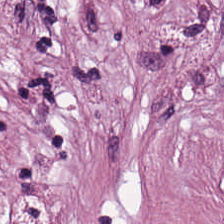H&E stain. 224×224 px tile. 20× equivalent magnification — Tumor-associated stroma.
